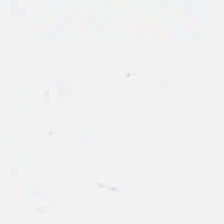Hematoxylin-and-eosin stained section — This field is background (no tissue).
